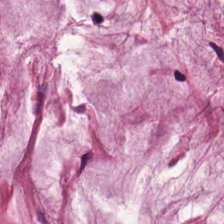0.5 microns per pixel. H&E-stained tissue section. Predominantly mucus.
